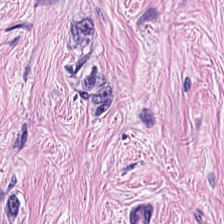FFPE tissue section; 0.5 µm/px; hematoxylin and eosin.
Q: Identify the tissue.
A: Desmoplastic stroma.
